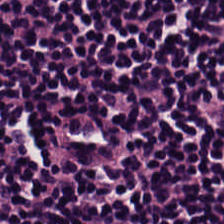Hematoxylin-and-eosin section: lymphocytic infiltrate.
